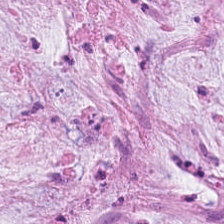Stain: hematoxylin and eosin.
Tissue type: mucus.
